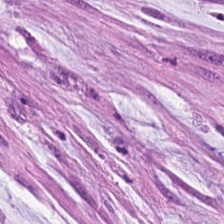Hematoxylin and eosin — Q: What is shown in this field?
A: It is mucus.
